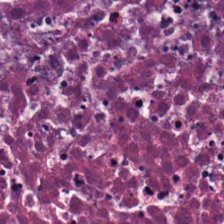Brightfield · H&E — The tissue here is debris.
